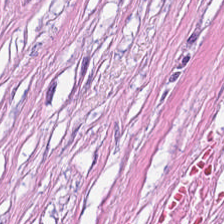This patch shows tumor-associated stroma.
